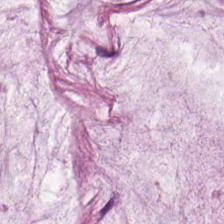H&E stain · 224×224 pixel tile · whole-slide-image patch.
Predominant tissue = extracellular mucin.
